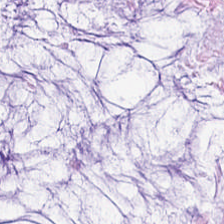FFPE; hematoxylin-and-eosin stained section.
Q: What is shown in this field?
A: The field shows extracellular mucin.
